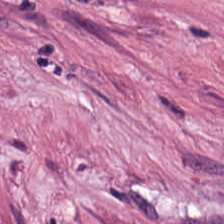Brightfield microscopy. Hematoxylin-and-eosin stained section. 0.5 µm per pixel. Tumor stroma.
